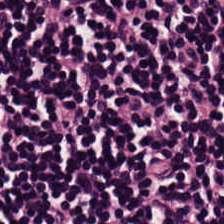Classification = lymphoid infiltrate.
